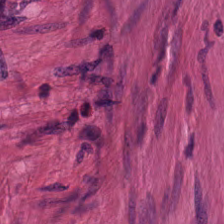H&E-stained tissue section.
Q: Identify the tissue.
A: The field shows smooth-muscle tissue.
